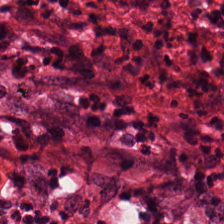224×224 px patch · hematoxylin-and-eosin stained section — Impression — tumor stroma.
